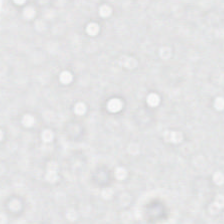Q: What does this patch show?
A: The field shows no tissue.
